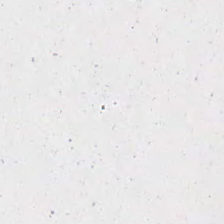H&E stain. Q: What does this patch show?
A: No tissue.
